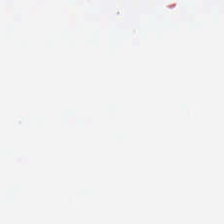Q: Classify this patch.
A: Background (no tissue).
